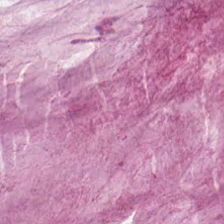0.5 µm per pixel. H&E. WSI patch.
Predominantly mucus.
